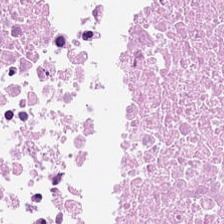The classification is necrotic debris.
